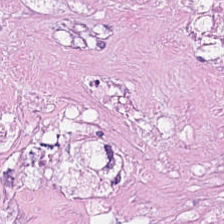This field is debris.
